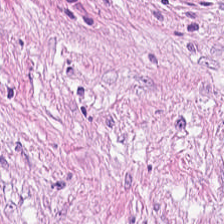H&E.
Tissue: tumor stroma.
